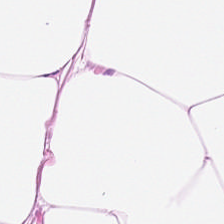20× equivalent magnification · H&E-stained tissue section.
{"tissue_type": "fat tissue"}
